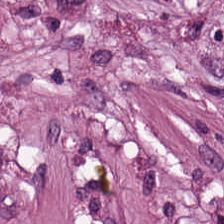Whole-slide-image patch. Hematoxylin-and-eosin stained section. Tissue type = tumor stroma.
